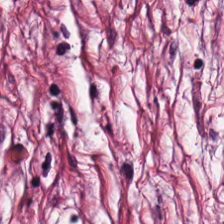Finding — desmoplastic stroma.
